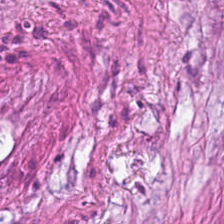Q: What type of tissue is this?
A: Tumor stroma.
